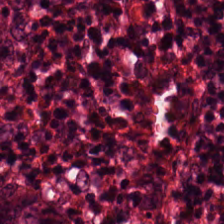Stain: H&E.
Tile size: 224×224 px patch.
Resolution: 20× equivalent magnification.
Tissue class: non-neoplastic colon mucosa.
